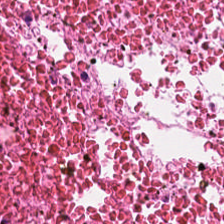H&E stain.
The tissue class is debris.
